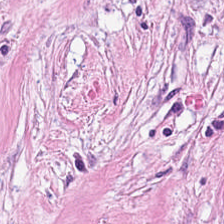Stain: H&E-stained tissue section.
Tissue: desmoplastic stroma.
